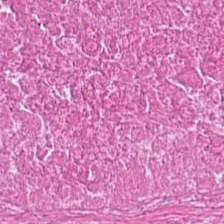H&E stain. Histology → necrotic debris.
